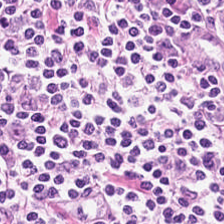H&E stain; 0.5 µm per pixel; brightfield microscopy — {"tissue_type": "lymphocyte aggregate"}
